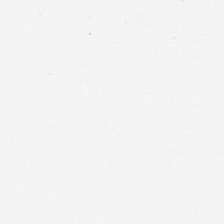Brightfield microscopy. 224×224 px tile. H&E stain.
Content — background (no tissue).
